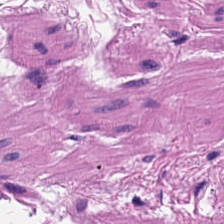H&E-stained tissue section — The predominant tissue is smooth muscle.
